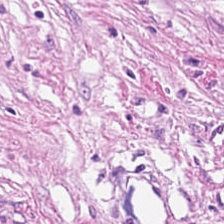Tissue type — tumor-associated stroma.
